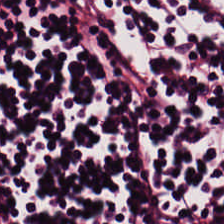The classification is lymphocyte aggregate.
